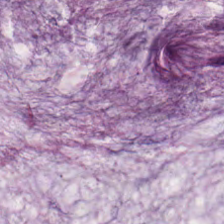H&E. Tissue type = extracellular mucin.
